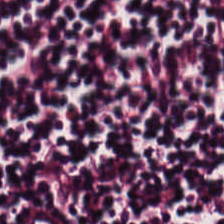Stain: H&E stain.
Preparation: FFPE tissue section.
Predominant tissue: lymphocyte aggregate.
